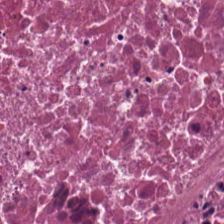Hematoxylin and eosin.
{"tissue_type": "cellular debris"}
